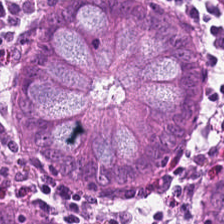Classification = normal colonic mucosa.
